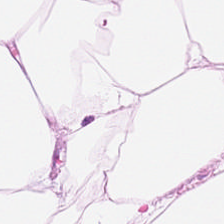Stain: hematoxylin and eosin.
Acquisition: brightfield microscopy.
Classification: fat tissue.
